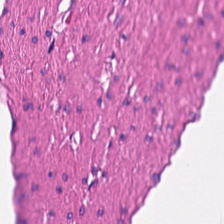Tissue type: smooth muscle.
